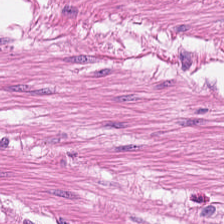Q: What is the predominant tissue type?
A: The field shows muscularis.
